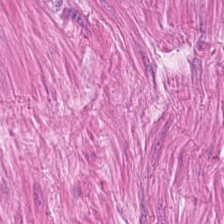H&E. {"tissue_type": "smooth muscle"}
